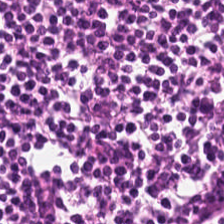Hematoxylin and eosin — Finding — lymphocytes.
